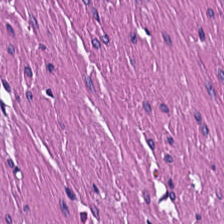H&E-stained tissue section. WSI patch.
Predominantly muscularis.
